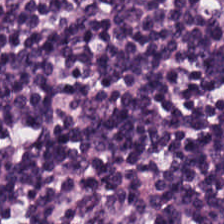Hematoxylin and eosin — Tissue = lymphocyte aggregate.
